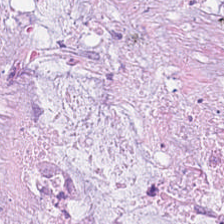H&E — Tissue type: mucus.
